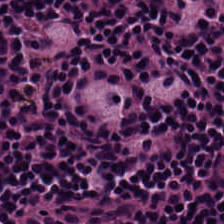{"tissue_type": "lymphocytes"}
